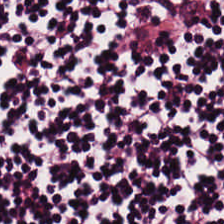H&E stain.
{"tissue_type": "lymphocytic infiltrate"}
